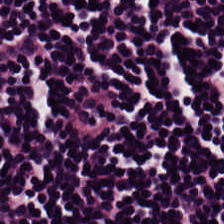Tissue type — lymphocyte aggregate.
